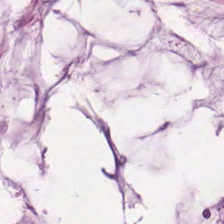Brightfield microscopy · hematoxylin and eosin — Classification = mucus.
